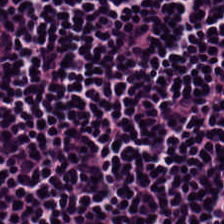H&E. 224×224 px patch. FFPE — Lymphoid infiltrate.
